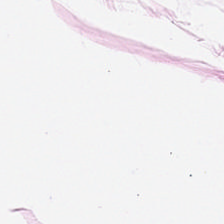224×224 px tile · hematoxylin-and-eosin stained section.
This field is adipose tissue.
